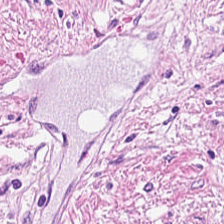Predominant tissue = tumor-associated stroma.
